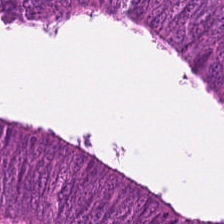H&E patch showing adenocarcinoma.
